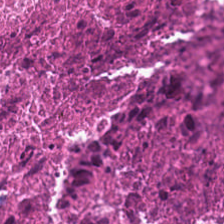224×224 px patch. Hematoxylin and eosin. This field is cellular debris.
